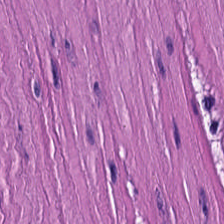Stain: H&E-stained tissue section.
Tissue type: smooth muscle.
